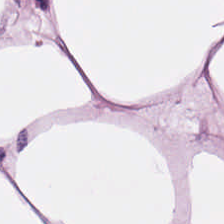The classification is adipocytes.
